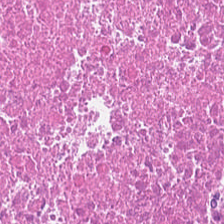Hematoxylin and eosin. The predominant tissue is necrotic debris.
